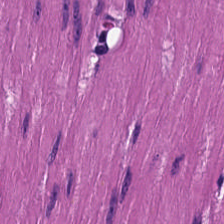0.5 µm per pixel · hematoxylin and eosin.
Smooth-muscle tissue.
